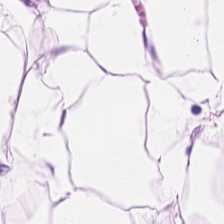H&E-stained tissue section. 0.5 µm/px.
Tissue class — adipose.
